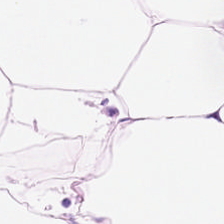Brightfield microscopy; 0.5 microns per pixel; hematoxylin-and-eosin stained section. Adipose tissue.
